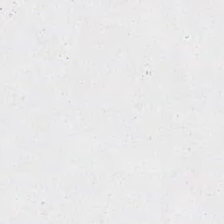Stain: H&E.
Preparation: FFPE tissue section.
Classification: no tissue.
